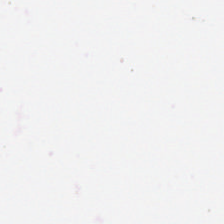H&E-stained tissue section.
Content — empty background.
